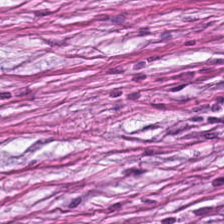Whole-slide-image patch · formalin-fixed paraffin-embedded section · hematoxylin-and-eosin stained section — Impression — tumor stroma.
